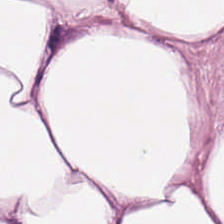The tissue class is adipose.
